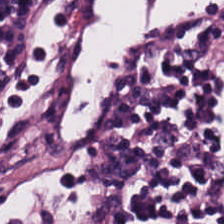Brightfield microscopy · 224×224 pixel tile · H&E stain. Tissue — lymphocytes.
